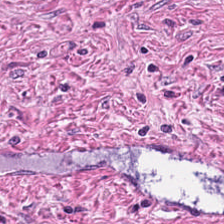Hematoxylin and eosin. This field is desmoplastic stroma.
